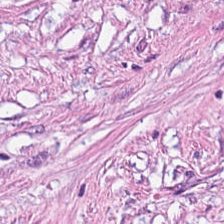H&E · 224×224 px tile — The classification is desmoplastic stroma.
